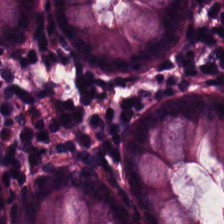Showing non-neoplastic colon mucosa.
